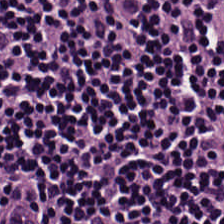224×224 px tile · FFPE · hematoxylin-and-eosin stained section.
The predominant tissue is lymphocytes.
